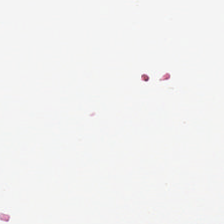This field is background (no tissue).
